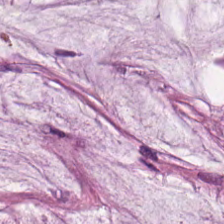The tissue here is extracellular mucin.
